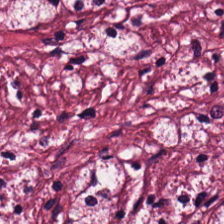Brightfield; H&E stain; 0.5 µm/px. Showing cancer-associated stroma.
